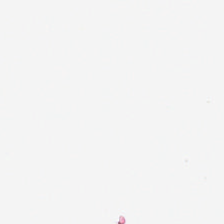H&E; FFPE; 224×224 pixel tile — Q: Classify this patch.
A: It is no tissue.
